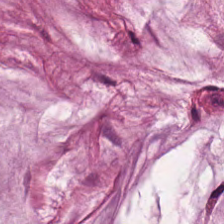Hematoxylin and eosin. Predominantly mucin.
